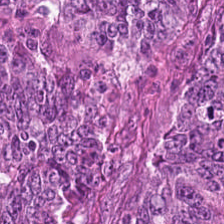Stain: hematoxylin and eosin.
Tissue type: colorectal adenocarcinoma epithelium.
